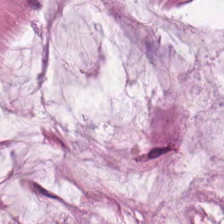Hematoxylin and eosin — Histology → mucus.
